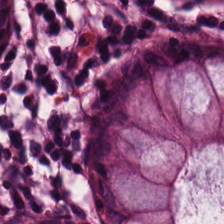Hematoxylin-and-eosin section: benign colonic mucosa.
